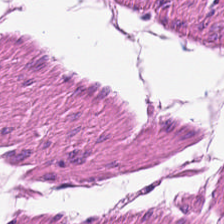Hematoxylin and eosin.
Q: What type of tissue is this?
A: The field shows smooth-muscle tissue.
